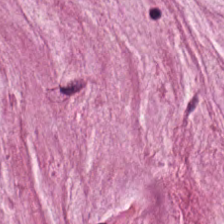H&E — Classification — mucus.
